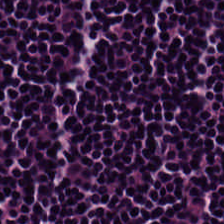Hematoxylin and eosin. Showing lymphocytes.
